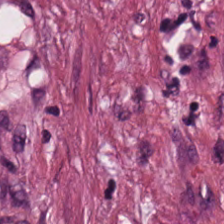WSI patch; hematoxylin-and-eosin stained section — Q: Classify this patch.
A: This is tumor-associated stroma.
